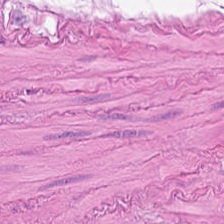H&E-stained tissue section — Predominantly smooth-muscle tissue.
